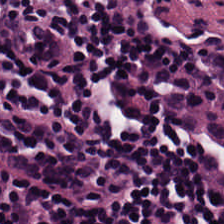H&E stain — This field is lymphocytes.
